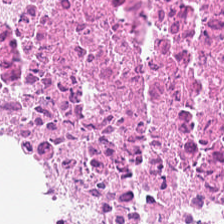Brightfield microscopy; H&E stain. Q: What is the predominant tissue type?
A: Debris.
